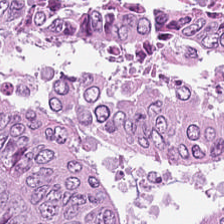Hematoxylin and eosin · whole-slide-image patch · FFPE — This field is adenocarcinoma.
